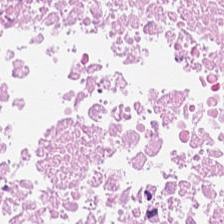H&E stain — Tissue — necrotic debris.
